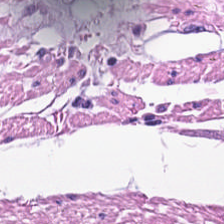H&E stain.
{"tissue_type": "smooth muscle"}
